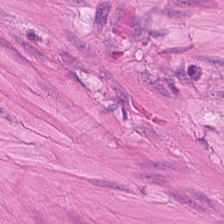Hematoxylin-and-eosin stained section. This patch shows smooth muscle.
